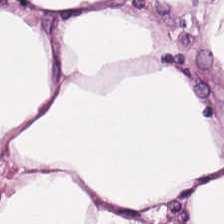This field is adipose tissue.
